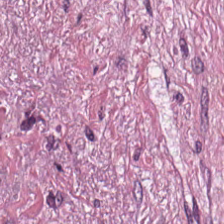Hematoxylin and eosin.
Predominantly desmoplastic stroma.
